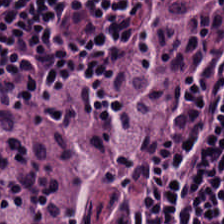H&E stain · formalin-fixed paraffin-embedded section.
{"tissue_type": "lymphocytes"}
